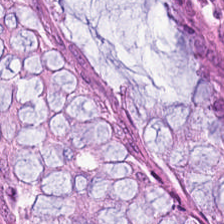Hematoxylin-and-eosin stained section. {"tissue_type": "normal colon mucosa"}
